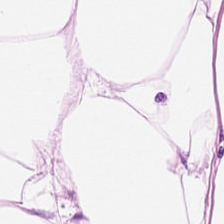WSI patch; H&E-stained tissue section. The tissue here is adipose.
